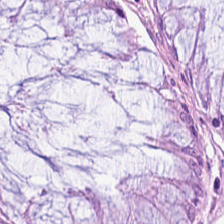H&E-stained tissue section. The predominant tissue is benign colonic mucosa.
